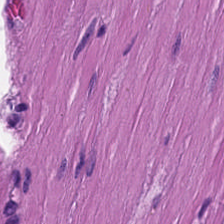FFPE tissue section; hematoxylin and eosin; 20× equivalent magnification.
The predominant tissue is smooth muscle.
